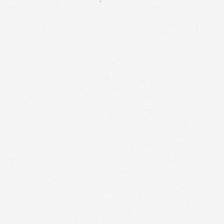H&E stain · WSI patch. No tissue present; background only.
